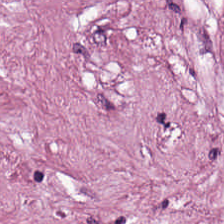H&E stain. Tissue class: tumor-associated stroma.
